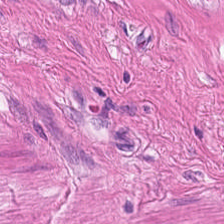Stain: H&E-stained tissue section.
Classification: muscularis.
